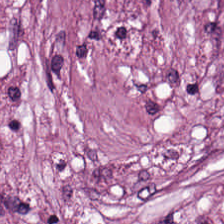Hematoxylin and eosin. This field is cancer-associated stroma.
